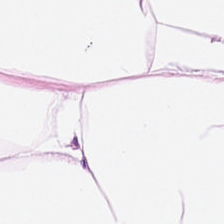H&E — fat tissue.
